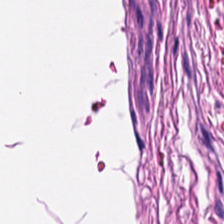H&E-stained tissue section — This patch shows smooth-muscle tissue.
